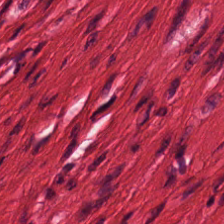Hematoxylin and eosin · brightfield · 224×224 pixel tile — Tissue: smooth-muscle tissue.
